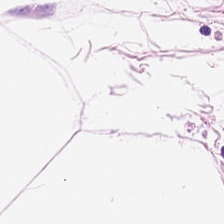The tissue here is adipose.
